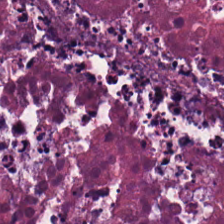Hematoxylin and eosin.
Q: Identify the tissue.
A: It is debris.
